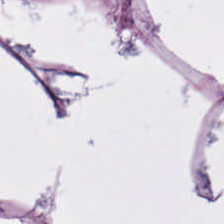Showing fat tissue.
